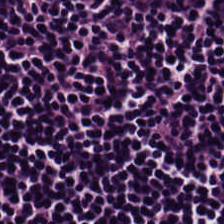Stain: H&E stain.
Predominant tissue: lymphoid infiltrate.
